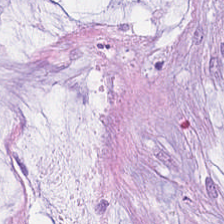H&E. 0.5 µm/px. Showing extracellular mucin.
